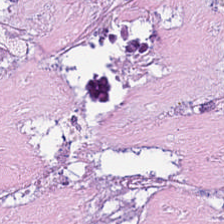H&E.
Q: What is shown in this field?
A: It is debris.
